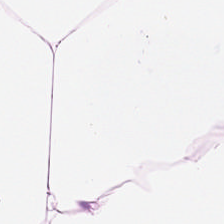Predominantly adipose tissue.
